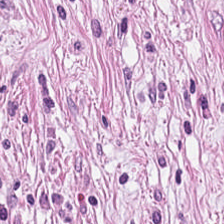WSI patch. 0.5 µm per pixel. H&E stain — Impression — tumor-associated stroma.
